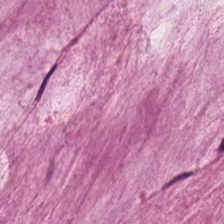Impression → extracellular mucin.
